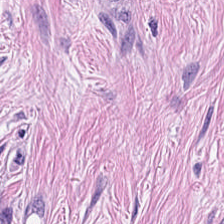Predominant tissue: tumor-associated stroma.
